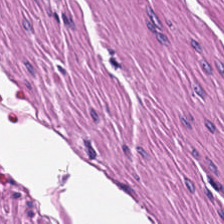224×224 px tile; H&E-stained tissue section. Q: What type of tissue is this?
A: This is smooth muscle.
